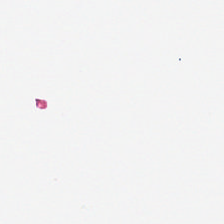WSI patch. Hematoxylin-and-eosin stained section. Formalin-fixed paraffin-embedded section. Content = background (no tissue).
